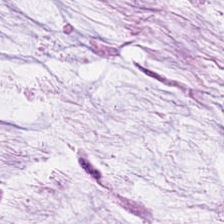H&E.
The tissue here is mucin.
